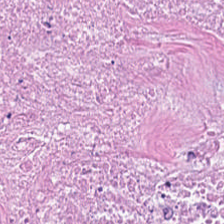0.5 µm per pixel; whole-slide-image patch; H&E — The predominant tissue is debris.
